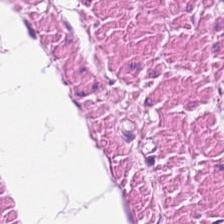H&E-stained tissue section.
Predominantly smooth muscle.
